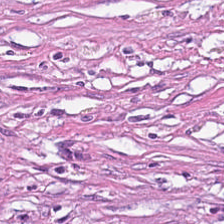H&E stain. WSI patch.
The tissue type is tumor stroma.
